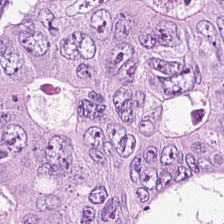WSI patch; hematoxylin-and-eosin stained section; 0.5 microns per pixel — Showing malignant epithelium.
